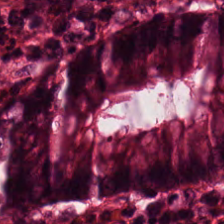Stain: hematoxylin-and-eosin stained section.
Preparation: FFPE.
Tile size: 224×224 pixel tile.
Tissue class: normal colonic mucosa.
